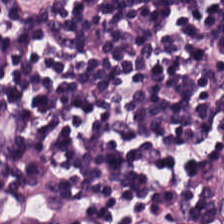H&E-stained tissue section. Predominant tissue: lymphocytic infiltrate.
